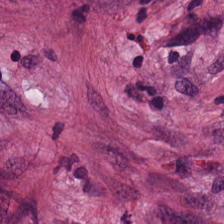H&E. Tissue type — cancer-associated stroma.
